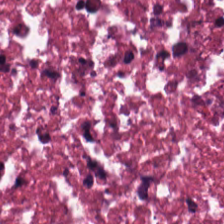H&E stain — Necrotic debris.
